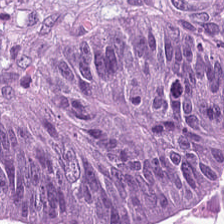H&E stain. Adenocarcinoma.
